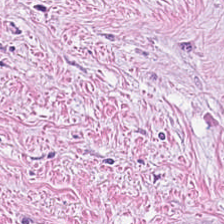224×224 px tile · hematoxylin-and-eosin stained section.
Tumor stroma.
